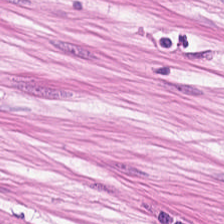Classification: smooth-muscle tissue.
